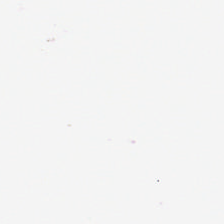Brightfield microscopy · H&E · FFPE tissue section — Empty field — empty background.
